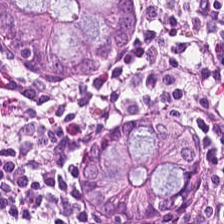Hematoxylin-and-eosin stained section.
The tissue class is normal colon mucosa.
